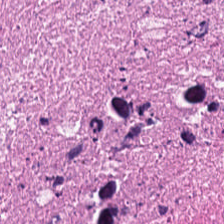Brightfield microscopy · hematoxylin and eosin — Tissue: cellular debris.
